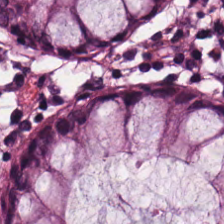{"tissue_type": "normal colonic mucosa"}
